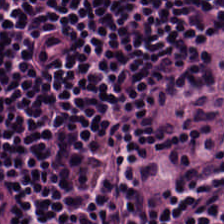Hematoxylin and eosin. This field is lymphocyte aggregate.
